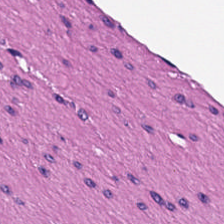Formalin-fixed paraffin-embedded section. H&E-stained tissue section. 224×224 px tile — Q: Identify the tissue.
A: It is muscularis.
